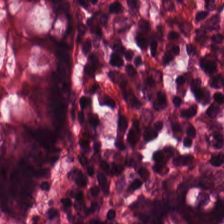Normal colon mucosa.
